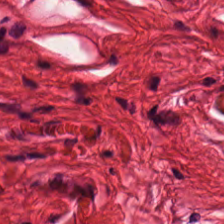Q: What does this patch show?
A: The field shows muscularis.
